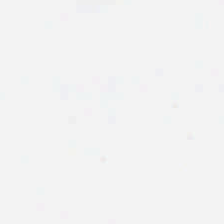H&E stain; 20× equivalent magnification — Q: What is shown here?
A: This is no tissue.
